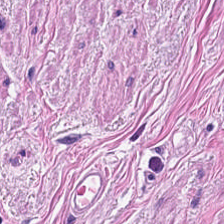Smooth-muscle tissue.
